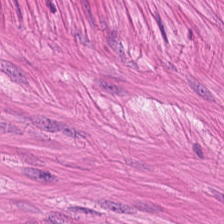Whole-slide-image patch. 224×224 px tile. H&E stain.
Impression → smooth muscle.
